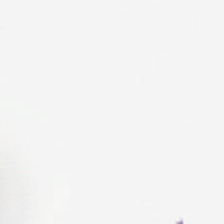Stain: H&E stain.
Acquisition: whole-slide-image patch.
Content: no tissue.
